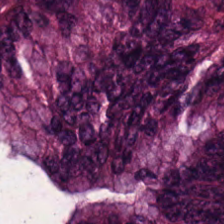Formalin-fixed paraffin-embedded section · H&E stain.
{"tissue_type": "tumor epithelium"}
